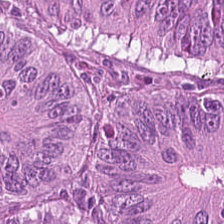Predominantly tumor epithelium.
